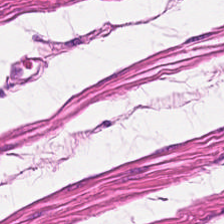224×224 px tile; hematoxylin and eosin.
The predominant tissue is smooth muscle.
